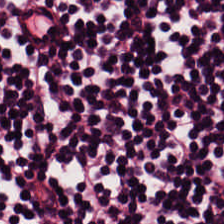FFPE tissue section; hematoxylin-and-eosin stained section — The tissue type is lymphoid infiltrate.
